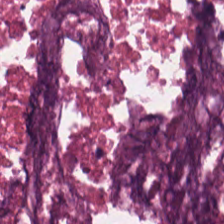0.5 µm per pixel · hematoxylin and eosin · brightfield.
This patch shows cellular debris.
